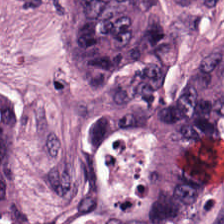224×224 px patch. H&E stain. WSI patch. {"tissue_type": "malignant epithelium"}
